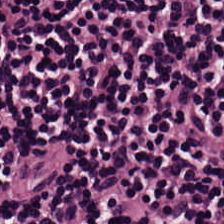Hematoxylin and eosin — Showing lymphoid infiltrate.
